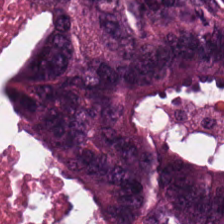224×224 px patch; H&E-stained tissue section. The tissue type is colorectal adenocarcinoma epithelium.
